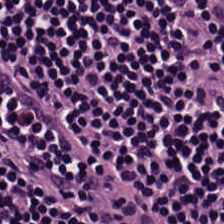Formalin-fixed paraffin-embedded section; H&E; 0.5 µm/px.
This patch shows lymphocytic infiltrate.
